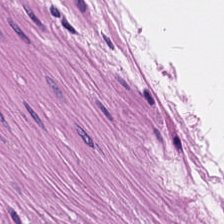Smooth-muscle tissue.
